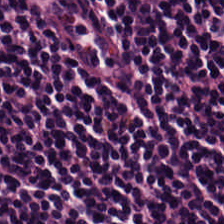Hematoxylin and eosin; brightfield; 224×224 pixel tile. Histology — lymphocyte aggregate.
